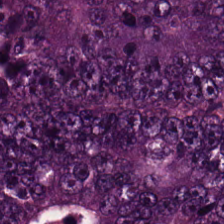Hematoxylin-and-eosin stained section — This field is adenocarcinoma.
